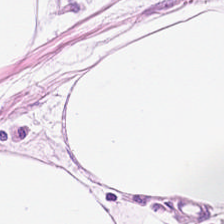H&E stain.
Predominantly adipocytes.
